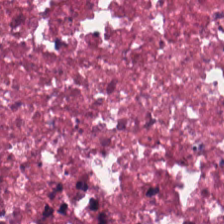H&E. Q: What does this patch show?
A: This is debris.
